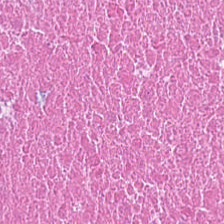Hematoxylin-and-eosin stained section.
The tissue here is debris.
